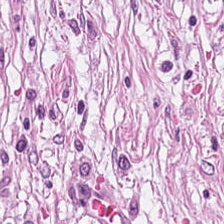Hematoxylin and eosin — The classification is cancer-associated stroma.
